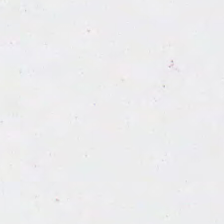Hematoxylin-and-eosin stained section.
Field content = background (no tissue).
